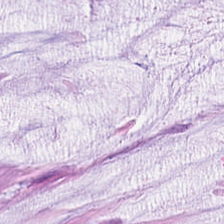H&E.
Tissue class: mucus.
